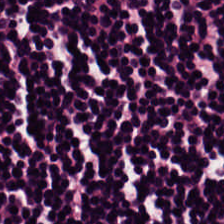Hematoxylin and eosin. Q: What is shown here?
A: This is lymphocyte aggregate.
